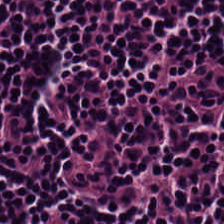Lymphocyte aggregate.
